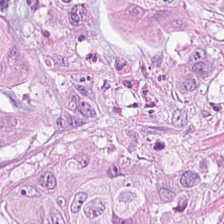H&E.
Q: What tissue is shown?
A: The field shows adenocarcinoma.
